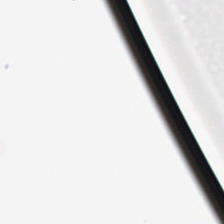Hematoxylin and eosin; whole-slide-image patch.
Content = background.
